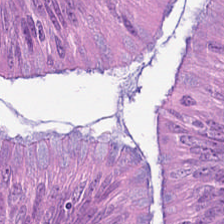H&E stain. Brightfield microscopy. 20× equivalent magnification — Q: What is shown here?
A: The field shows tumor epithelium.
